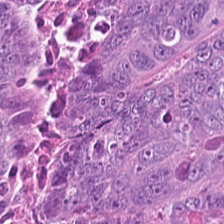H&E-stained tissue section — The tissue is malignant epithelium.
